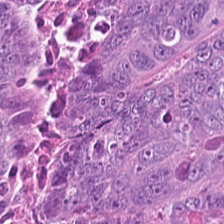H&E-stained tissue section — The tissue is malignant epithelium.
